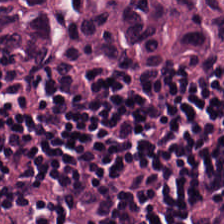224×224 pixel tile. H&E-stained tissue section. Predominantly lymphoid infiltrate.
